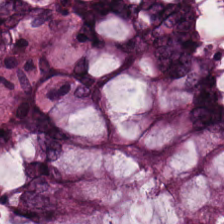Showing non-neoplastic colon mucosa.
